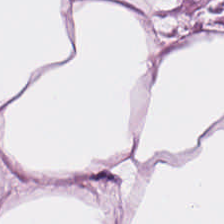0.5 µm per pixel · hematoxylin-and-eosin stained section. This patch shows adipose.
